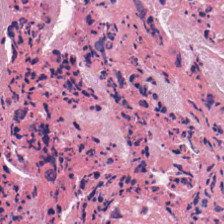The predominant tissue is necrotic debris.
